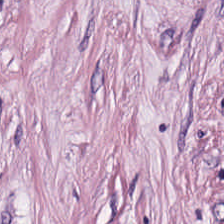Stain: H&E.
Tissue type: desmoplastic stroma.
